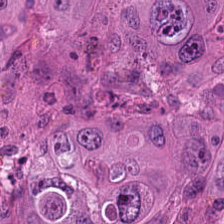Hematoxylin-and-eosin stained section. Showing tumor epithelium.
